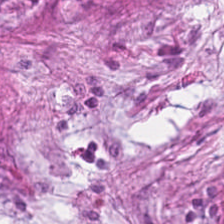FFPE tissue section. H&E. 224×224 pixel tile.
The tissue type is cancer-associated stroma.
